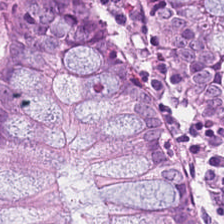FFPE tissue section. H&E-stained tissue section.
Finding → non-neoplastic colon mucosa.
